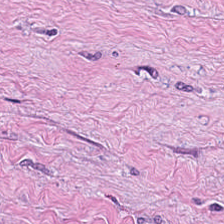Hematoxylin-and-eosin stained section. Q: What is the predominant tissue type?
A: It is desmoplastic stroma.
